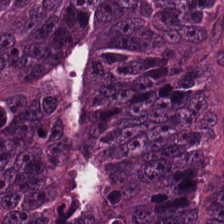H&E. Classification — tumor epithelium.
